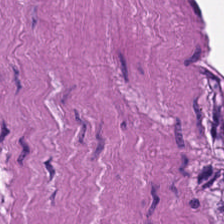The classification is smooth-muscle tissue.
